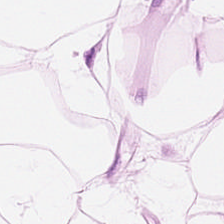H&E-stained tissue section.
Predominant tissue: adipose tissue.
